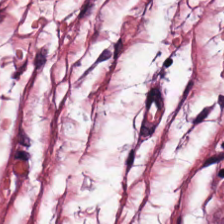H&E-stained tissue section.
The classification is cancer-associated stroma.
